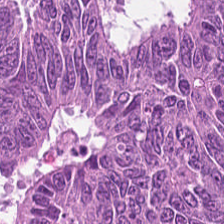Stain: hematoxylin and eosin.
Tissue: adenocarcinoma.
